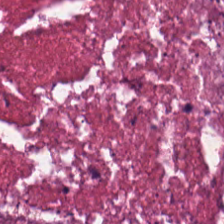Hematoxylin-and-eosin stained section. This field is necrotic debris.
